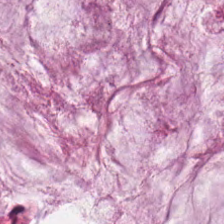Whole-slide-image patch; hematoxylin-and-eosin stained section — This patch shows mucin.
